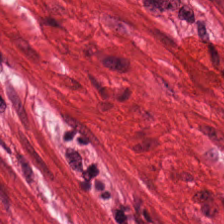H&E. {"tissue_type": "smooth muscle"}
